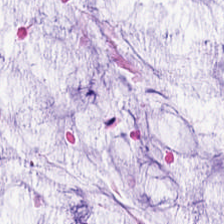Hematoxylin and eosin — Finding — mucus.
